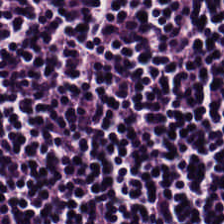H&E stain; FFPE tissue section — Q: Identify the tissue.
A: It is lymphocyte aggregate.
